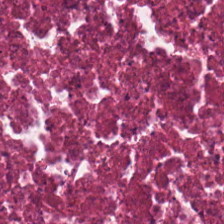Hematoxylin and eosin — Predominant tissue = necrotic debris.
